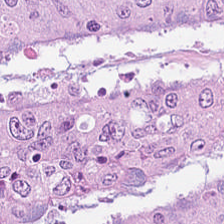FFPE. H&E stain.
Impression → adenocarcinoma.
